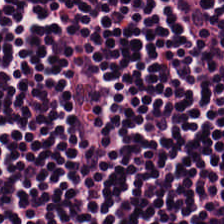Whole-slide-image patch. Hematoxylin-and-eosin stained section. 224×224 px patch.
Q: What is shown in this field?
A: This is lymphocytes.
